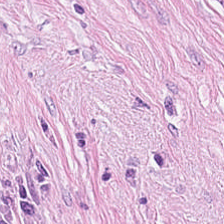H&E-stained tissue section.
{"tissue_type": "tumor-associated stroma"}
